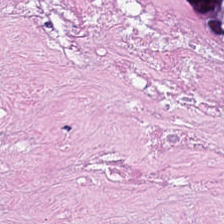H&E stain. Tissue — cellular debris.
